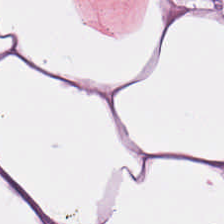Stain: hematoxylin and eosin.
Tissue type: adipose.
